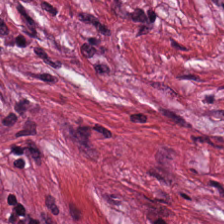H&E stain — Tissue class — desmoplastic stroma.
